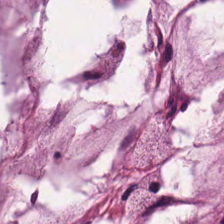FFPE; WSI patch; H&E — Impression → mucus.
